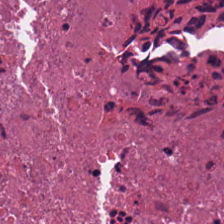Hematoxylin-and-eosin stained section. Predominant tissue = debris.
